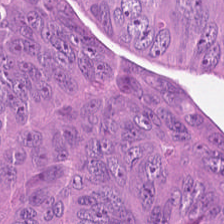FFPE tissue section; hematoxylin and eosin.
Q: Identify the tissue.
A: The field shows malignant epithelium.
